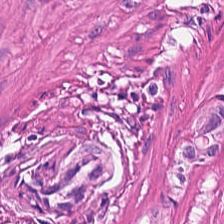Stain: H&E stain.
Tissue class: smooth-muscle tissue.
